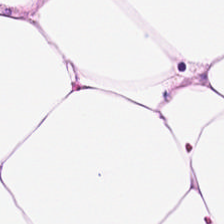H&E · whole-slide-image patch.
Classification: adipocytes.
